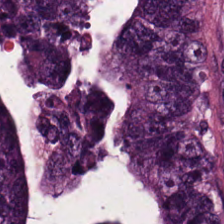Hematoxylin and eosin — Q: What is the predominant tissue type?
A: This is colorectal adenocarcinoma epithelium.
